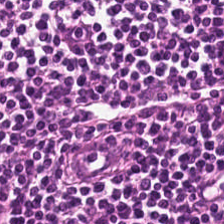Impression → lymphocyte aggregate.
